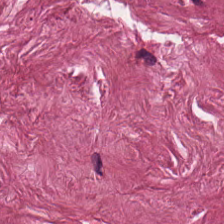Hematoxylin-and-eosin stained section.
Q: What is shown in this field?
A: It is cancer-associated stroma.
